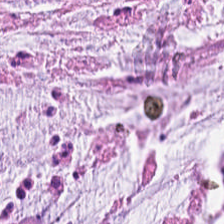0.5 µm/px; whole-slide-image patch; H&E-stained tissue section.
Finding → mucin.
